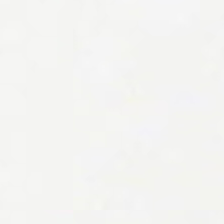Formalin-fixed paraffin-embedded section; H&E-stained tissue section; 224×224 px patch.
Background — no tissue in this field.
